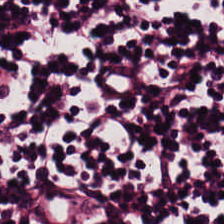H&E stain. Impression → lymphocyte aggregate.
